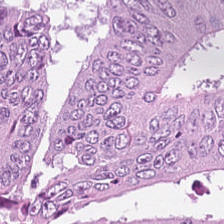20× equivalent magnification; H&E stain; formalin-fixed paraffin-embedded section — Showing colorectal adenocarcinoma.
